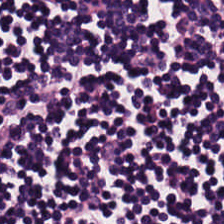Stain: H&E.
Tissue: lymphocytic infiltrate.
